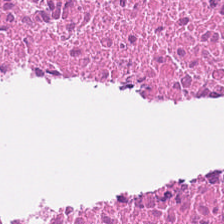Hematoxylin-and-eosin stained section · formalin-fixed paraffin-embedded section — Histology — cellular debris.
